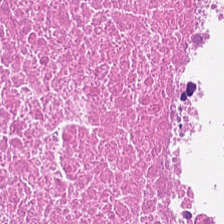The tissue here is debris.
